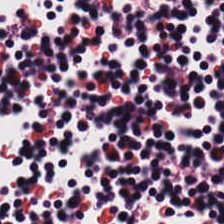Stain: hematoxylin-and-eosin stained section.
Acquisition: brightfield.
Preparation: FFPE.
Predominant tissue: lymphocytes.
